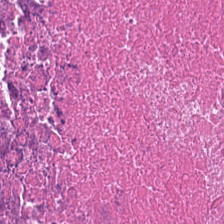FFPE tissue section. H&E stain. 224×224 pixel tile.
Tissue class — debris.
